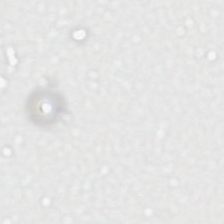Hematoxylin and eosin · 224×224 pixel tile · brightfield — {"content": "empty background"}
